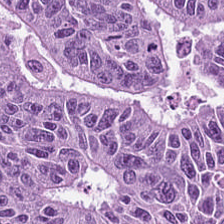Hematoxylin-and-eosin section: tumor epithelium.
